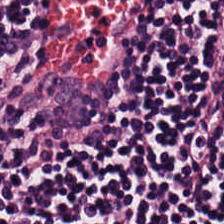H&E stain. Q: What is shown here?
A: The field shows lymphocyte aggregate.
